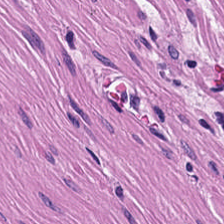FFPE tissue section. H&E stain.
Q: What is the predominant tissue type?
A: Smooth muscle.
